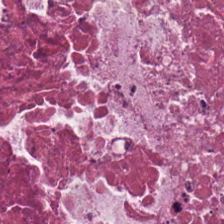Finding — cellular debris.
